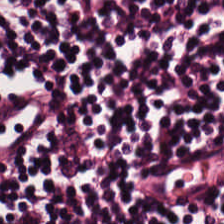Q: What is the predominant tissue type?
A: It is lymphocyte aggregate.
